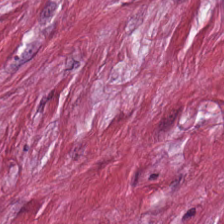224×224 pixel tile; whole-slide-image patch; hematoxylin-and-eosin stained section.
Predominant tissue: desmoplastic stroma.
